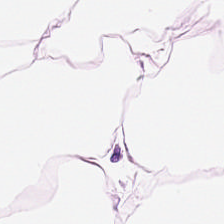Stain: H&E stain.
Resolution: 0.5 µm/px.
Tissue type: fat tissue.
